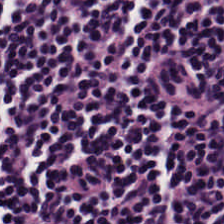WSI patch · H&E stain — Classification — lymphoid infiltrate.
